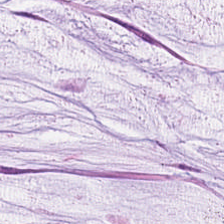H&E.
Q: What type of tissue is this?
A: It is mucin.
